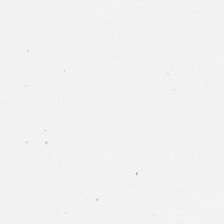Hematoxylin and eosin — Q: What does this patch show?
A: This is background (no tissue).
